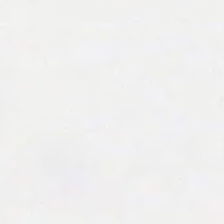H&E · 0.5 µm per pixel. Background — no tissue in this field.
